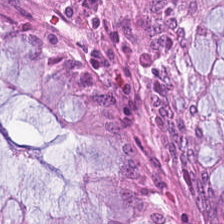FFPE · hematoxylin and eosin · 20× equivalent magnification. Q: What is shown here?
A: The field shows non-neoplastic colon mucosa.
